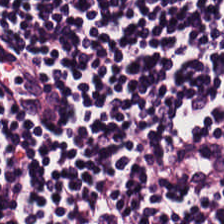WSI patch. Hematoxylin-and-eosin stained section.
Showing lymphocyte aggregate.
